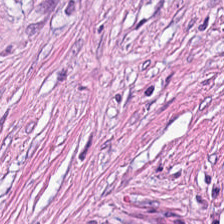The predominant tissue is tumor-associated stroma.
